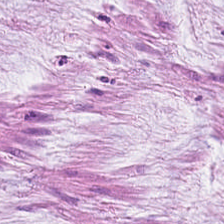Stain: hematoxylin-and-eosin stained section.
Preparation: formalin-fixed paraffin-embedded section.
Acquisition: brightfield.
Tissue class: extracellular mucin.
